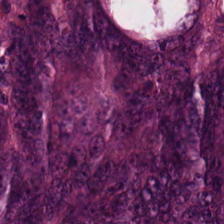H&E stain — The predominant tissue is tumor epithelium.
